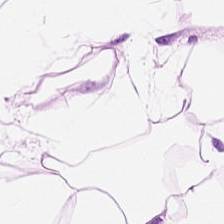Tissue class = adipose tissue.
